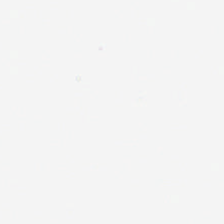H&E. This field is background (no tissue).
